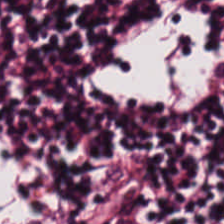H&E — lymphocyte aggregate.
